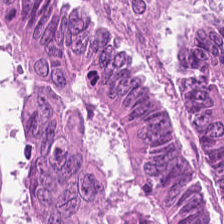H&E stain. The predominant tissue is tumor epithelium.
